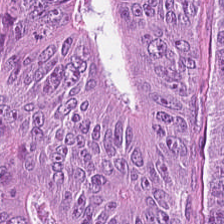224×224 px tile. Hematoxylin-and-eosin stained section. Brightfield. Tissue type: tumor epithelium.
